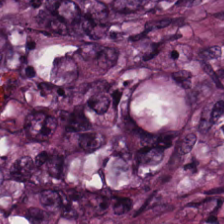Finding → colorectal adenocarcinoma.
